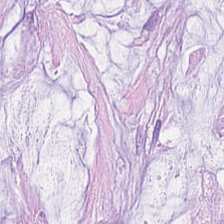Hematoxylin and eosin — Extracellular mucin.
